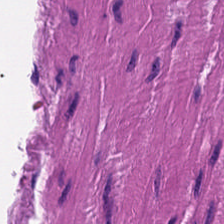Tissue class — muscularis.
